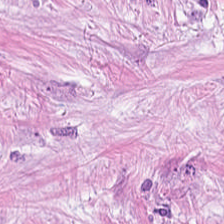Finding → tumor-associated stroma.
